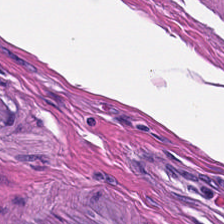H&E; formalin-fixed paraffin-embedded section.
This field is muscularis.
